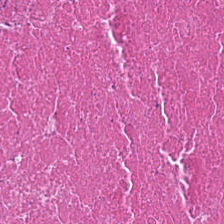Classification: cellular debris.
